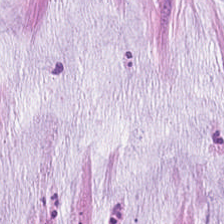Hematoxylin-and-eosin stained section.
Histology → extracellular mucin.
